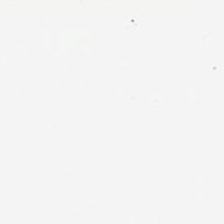Stain: hematoxylin and eosin.
Content: empty background.
